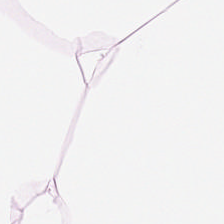Brightfield · hematoxylin and eosin.
This patch shows fat tissue.
